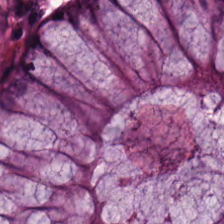FFPE tissue section · H&E-stained tissue section.
Predominantly benign colonic mucosa.
